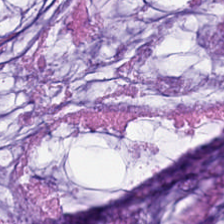H&E — mucus.
